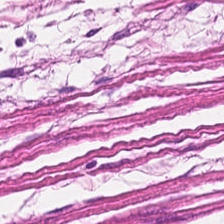Stain: H&E-stained tissue section.
Tissue type: smooth muscle.
